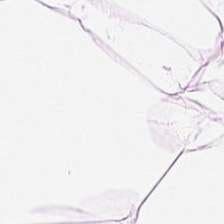H&E stain. Classification: adipose.
